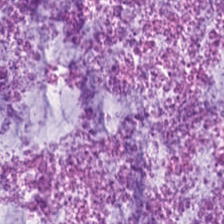FFPE · H&E stain — The classification is mucus.
